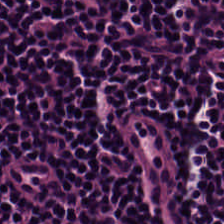Hematoxylin-and-eosin stained section · formalin-fixed paraffin-embedded section — Predominantly lymphoid infiltrate.
